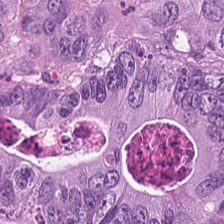Formalin-fixed paraffin-embedded section. Hematoxylin and eosin — Colorectal adenocarcinoma epithelium.
